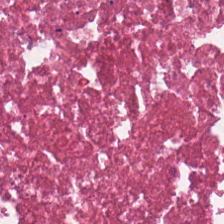Showing cellular debris.
